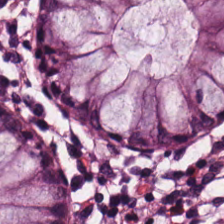H&E stain.
Tissue class: normal colon mucosa.
